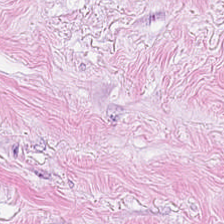Tissue type: tumor-associated stroma.
